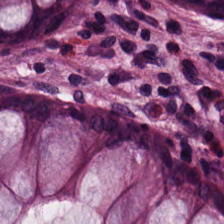Whole-slide-image patch; hematoxylin and eosin.
Classification: normal colon mucosa.
